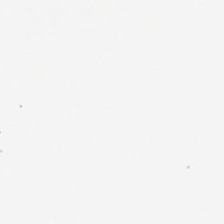This field is background (no tissue).
